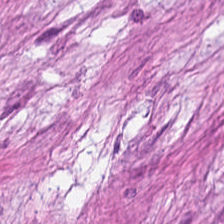H&E.
Tissue — tumor stroma.
